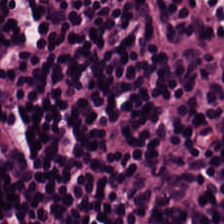Brightfield microscopy; H&E-stained tissue section — Impression — lymphoid infiltrate.
